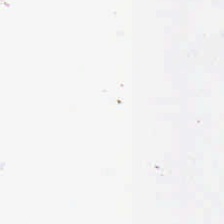Content — empty background.
